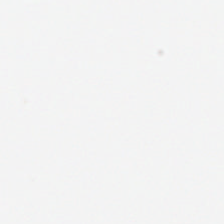H&E-stained tissue section. Empty background.
